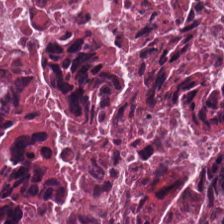H&E; 224×224 pixel tile — Q: Classify this patch.
A: This is necrotic debris.
